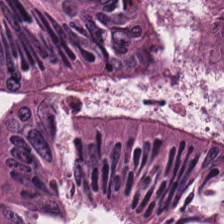Malignant epithelium.
